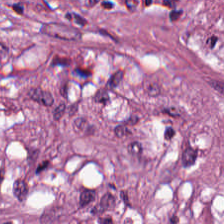Q: What tissue type is shown here?
A: Tumor-associated stroma.
